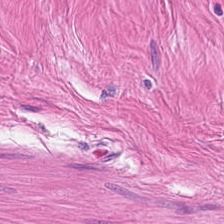224×224 px patch; 20× equivalent magnification; H&E stain.
This field is smooth muscle.
